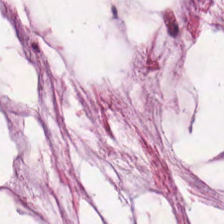Hematoxylin and eosin; 20× equivalent magnification.
Q: What does this patch show?
A: It is mucin.
